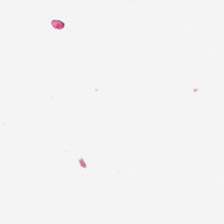H&E; 0.5 µm/px.
Q: What is shown here?
A: It is background.
